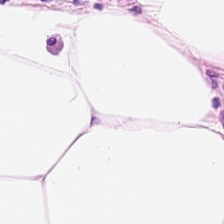0.5 µm/px · H&E. This patch shows adipocytes.
